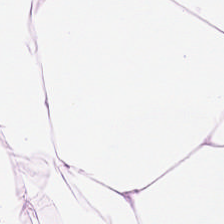H&E. Predominant tissue: fat tissue.
